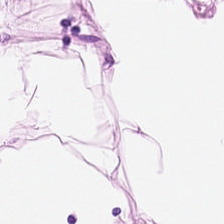Hematoxylin-and-eosin stained section.
{"tissue_type": "adipose tissue"}
